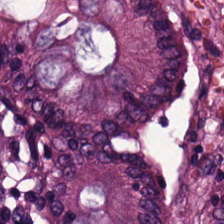Brightfield microscopy. 224×224 pixel tile. H&E-stained tissue section — The predominant tissue is benign colonic mucosa.
